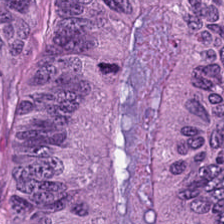Stain: H&E stain.
Predominant tissue: colorectal adenocarcinoma epithelium.
